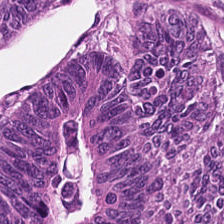Brightfield; H&E stain; formalin-fixed paraffin-embedded section. The tissue here is adenocarcinoma.
